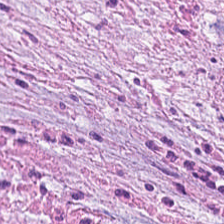Hematoxylin-and-eosin stained section — Tissue — tumor-associated stroma.
